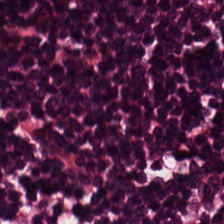Hematoxylin and eosin; formalin-fixed paraffin-embedded section. Showing lymphocyte aggregate.
